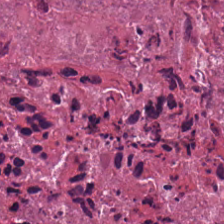H&E-stained tissue section showing necrotic debris.
